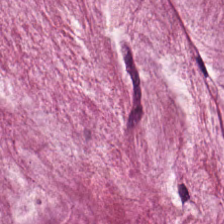Finding — mucin.
